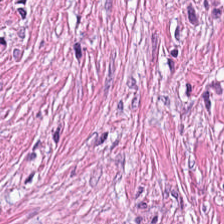Histology → tumor stroma.
